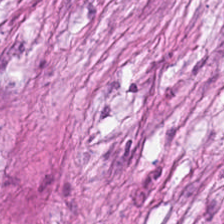Stain: hematoxylin and eosin.
Preparation: FFPE tissue section.
Tile size: 224×224 pixel tile.
Tissue: tumor-associated stroma.
